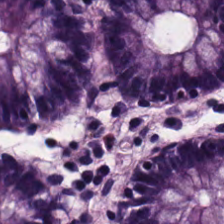Hematoxylin-and-eosin stained section. The tissue here is normal colon mucosa.
